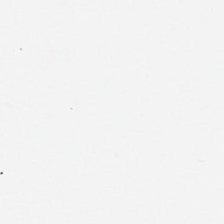The content is empty background.
